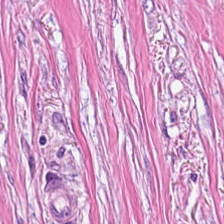Hematoxylin-and-eosin stained section — This patch shows cancer-associated stroma.
